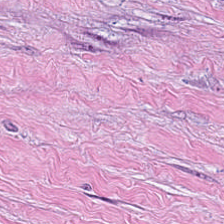Stain: hematoxylin and eosin.
Acquisition: brightfield microscopy.
Predominant tissue: desmoplastic stroma.
